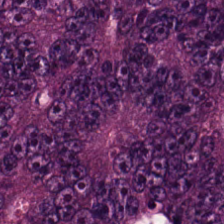FFPE · H&E stain · 20× equivalent magnification. This patch shows colorectal adenocarcinoma.
